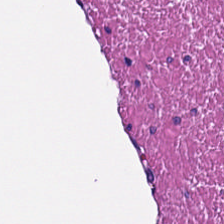224×224 pixel tile; hematoxylin and eosin. Smooth muscle.
